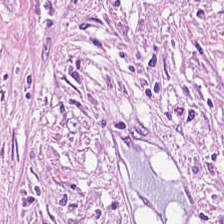224×224 px tile; hematoxylin-and-eosin stained section. This field is cancer-associated stroma.
